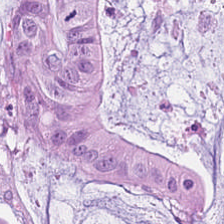H&E stain. Classification = mucin.
